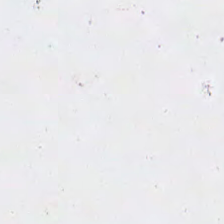Q: What is shown in this field?
A: No tissue.
